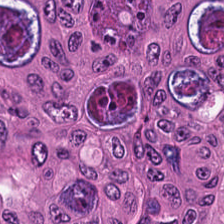H&E.
This field is tumor epithelium.
